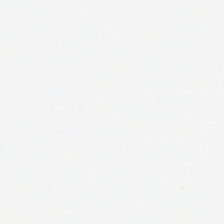WSI patch. FFPE tissue section. H&E-stained tissue section.
This patch shows background.
